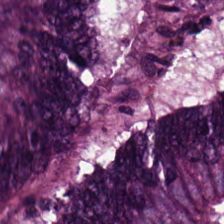Stain: hematoxylin and eosin.
Preparation: formalin-fixed paraffin-embedded section.
Predominant tissue: malignant epithelium.
